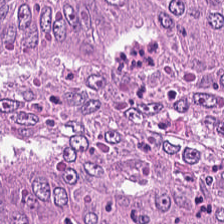H&E-stained tissue section — Q: What is the predominant tissue type?
A: This is malignant epithelium.
